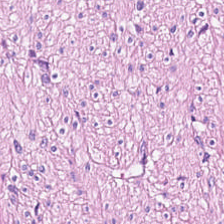H&E. This field is smooth-muscle tissue.
